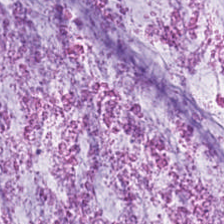H&E-stained tissue section · 0.5 µm/px. Histology — mucin.
